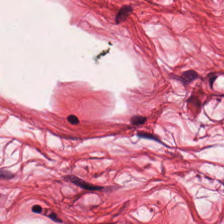Whole-slide-image patch; 224×224 px patch; H&E-stained tissue section. This patch shows smooth muscle.
